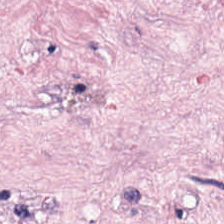Whole-slide-image patch. H&E. Predominantly tumor-associated stroma.
